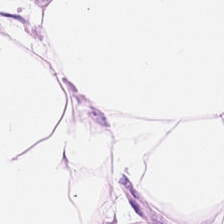H&E · 224×224 px patch.
The classification is adipose tissue.
